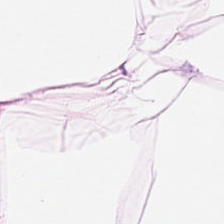H&E-stained tissue section. {"tissue_type": "fat tissue"}
